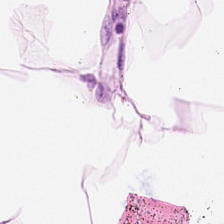Stain: H&E.
Acquisition: brightfield.
Tile size: 224×224 px tile.
Tissue: adipose.
